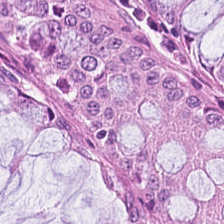H&E. Whole-slide-image patch — The tissue here is benign colonic mucosa.
